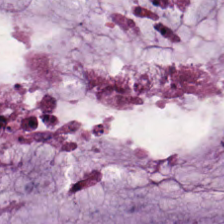Hematoxylin and eosin.
Histology — mucus.
